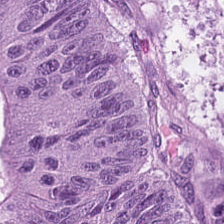Stain: H&E stain.
Resolution: 0.5 µm per pixel.
Tissue type: adenocarcinoma.
